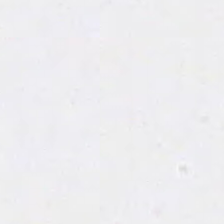The content is no tissue.
